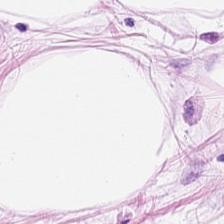Hematoxylin and eosin — This patch shows adipose.
